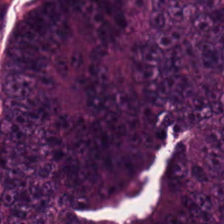H&E stain; whole-slide-image patch — Predominantly colorectal adenocarcinoma.
